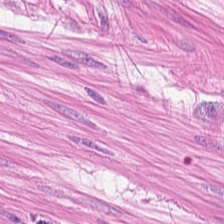H&E — Q: Classify this patch.
A: The field shows smooth muscle.
